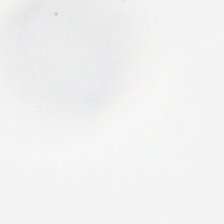Hematoxylin-and-eosin stained section.
This patch shows empty background.
